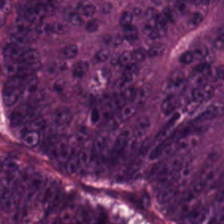The tissue type is malignant epithelium.
